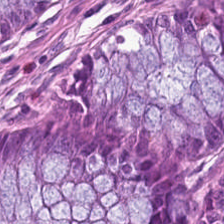The tissue type is benign colonic mucosa.
